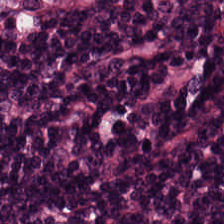This field is lymphoid infiltrate.
